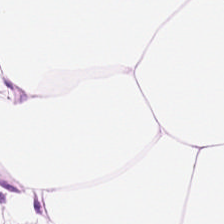Hematoxylin and eosin · 224×224 px tile · brightfield microscopy — Adipocytes.
